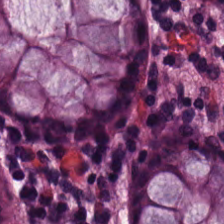H&E-stained tissue section showing normal colon mucosa.
